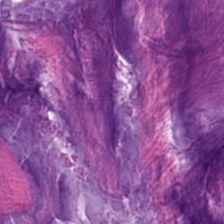0.5 microns per pixel. H&E-stained tissue section.
Classification: mucin.
